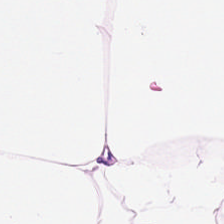Q: Identify the tissue.
A: This is adipocytes.
